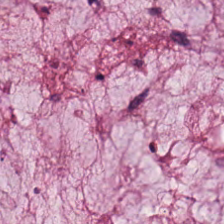Stain: hematoxylin and eosin.
Classification: extracellular mucin.
